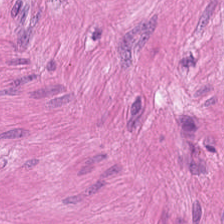Stain: H&E.
Classification: smooth-muscle tissue.
